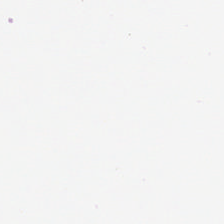0.5 µm/px. FFPE tissue section. H&E stain — Empty field — empty background.
